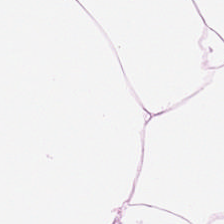Hematoxylin and eosin. The tissue here is adipose.
